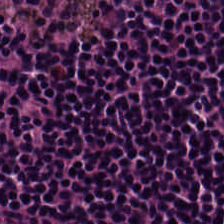Stain: H&E stain.
Acquisition: brightfield.
Tile size: 224×224 pixel tile.
Predominant tissue: lymphocytes.
